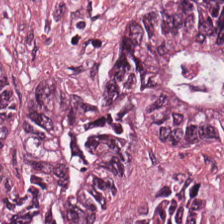Tissue: adenocarcinoma.
